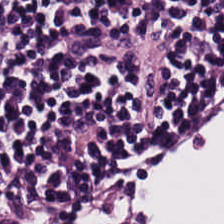Hematoxylin and eosin — Predominant tissue — lymphocyte aggregate.
